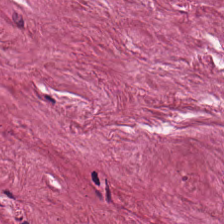Stain: hematoxylin and eosin.
Tile size: 224×224 pixel tile.
Resolution: 0.5 µm per pixel.
Classification: cancer-associated stroma.
